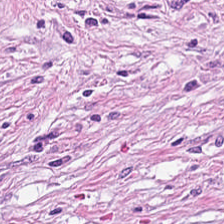H&E-stained tissue section showing cancer-associated stroma.
